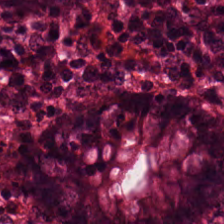Brightfield microscopy; FFPE; hematoxylin and eosin. This patch shows normal colonic mucosa.
